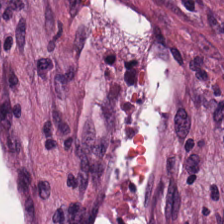Hematoxylin-and-eosin stained section — Desmoplastic stroma.
